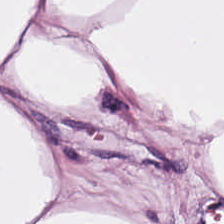H&E-stained tissue section; FFPE tissue section.
The tissue here is adipose.
